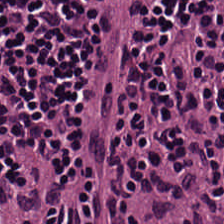20× equivalent magnification. 224×224 pixel tile. H&E — This field is lymphoid infiltrate.
